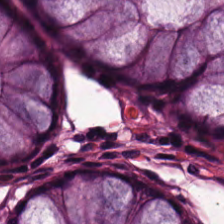This field is normal colon mucosa.
